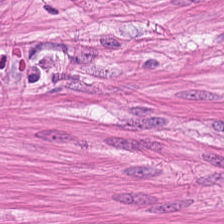H&E stain; formalin-fixed paraffin-embedded section; 224×224 pixel tile.
Q: What does this patch show?
A: The field shows muscularis.
